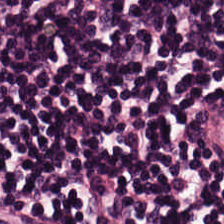0.5 microns per pixel. Brightfield. H&E-stained tissue section. This patch shows lymphoid infiltrate.
